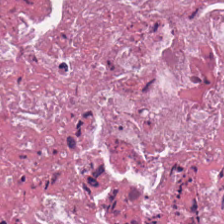Hematoxylin-and-eosin stained section — This patch shows debris.
